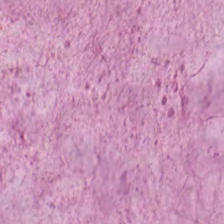Stain: hematoxylin and eosin.
Tissue class: mucin.
